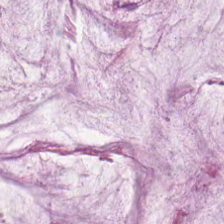The tissue class is extracellular mucin.
